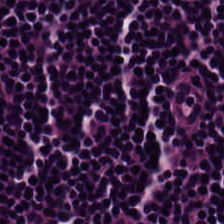H&E. Q: What tissue is shown?
A: Lymphocyte aggregate.
